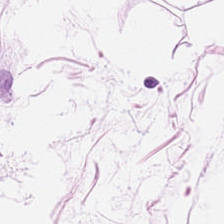Brightfield. H&E-stained tissue section. Tissue class: fat tissue.
